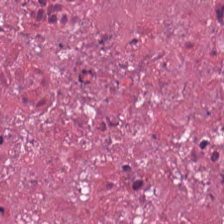Whole-slide-image patch; 224×224 px patch; H&E.
The tissue is cellular debris.
